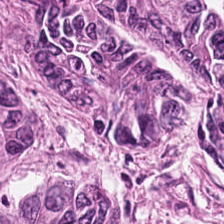Q: What tissue type is shown here?
A: It is tumor epithelium.
